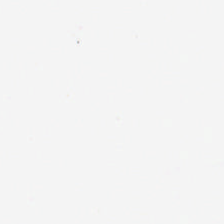224×224 px patch. H&E-stained tissue section.
Field content = empty background.
